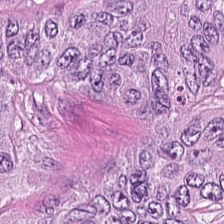H&E. This patch shows tumor epithelium.
